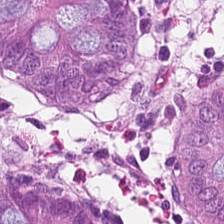224×224 px patch. Brightfield. H&E. Normal colonic mucosa.
